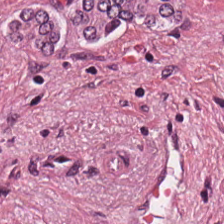H&E stain — Histology → tumor-associated stroma.
